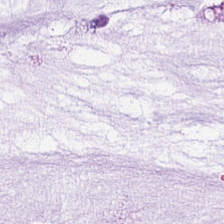Stain: H&E stain.
Tissue type: mucus.
